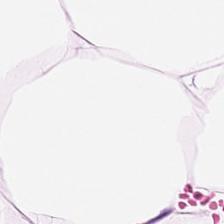The predominant tissue is adipocytes.
